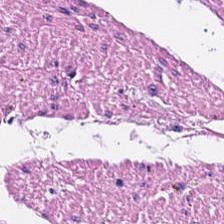H&E; FFPE tissue section; 0.5 µm/px.
Tissue: smooth muscle.
